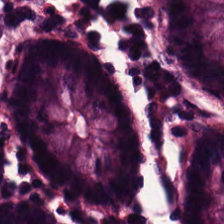Hematoxylin and eosin. Q: What is shown in this field?
A: It is normal colonic mucosa.
